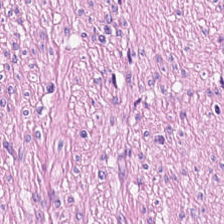H&E · 224×224 px patch · whole-slide-image patch.
Q: What is shown here?
A: Smooth-muscle tissue.
